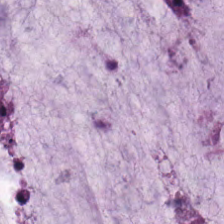Stain: hematoxylin-and-eosin stained section.
Tissue type: mucin.
